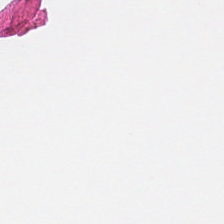H&E stain; formalin-fixed paraffin-embedded section; whole-slide-image patch.
No tissue present; background only.
